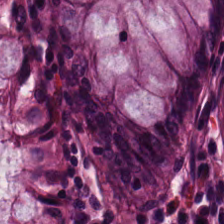Histology — normal colonic mucosa.
